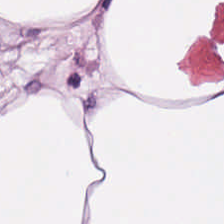WSI patch. Hematoxylin-and-eosin stained section — Predominant tissue = fat tissue.
